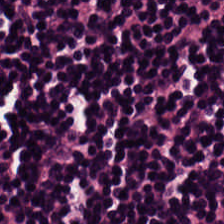H&E; whole-slide-image patch.
Q: What is the predominant tissue type?
A: The field shows lymphoid infiltrate.
